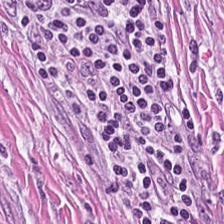Hematoxylin-and-eosin stained section.
Q: What is the predominant tissue type?
A: The field shows desmoplastic stroma.
